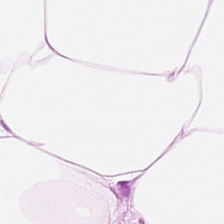FFPE tissue section · hematoxylin-and-eosin stained section — This patch shows fat tissue.
